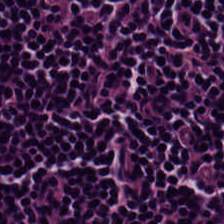Q: Classify this patch.
A: It is lymphocytes.
